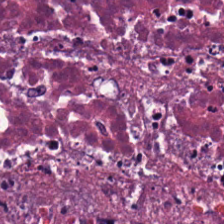{"tissue_type": "debris"}
